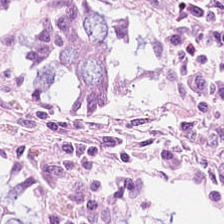H&E-stained tissue section · whole-slide-image patch — Tissue type = normal colonic mucosa.
